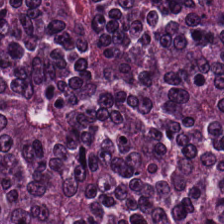Stain: hematoxylin-and-eosin stained section.
Predominant tissue: malignant epithelium.
